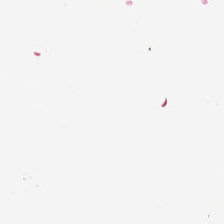224×224 px patch. H&E-stained tissue section — Q: What is shown here?
A: Background (no tissue).
